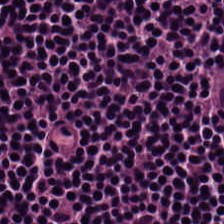Hematoxylin and eosin — Q: What is shown in this field?
A: The field shows lymphoid infiltrate.
